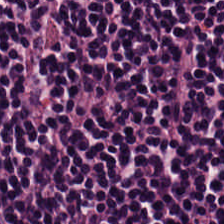0.5 microns per pixel. 224×224 px patch. H&E-stained tissue section — This field is lymphocyte aggregate.
